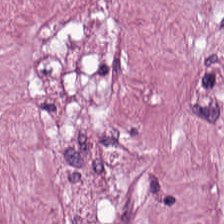Predominant tissue — tumor-associated stroma.
